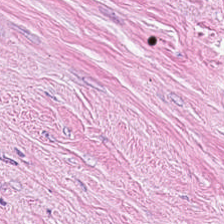H&E. 224×224 pixel tile — Classification — tumor stroma.
